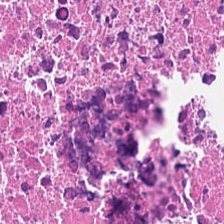{"tissue_type": "necrotic debris"}
